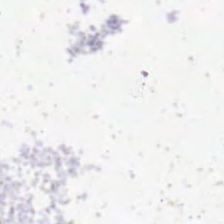Hematoxylin and eosin · 0.5 microns per pixel · 224×224 pixel tile. This field is background (no tissue).
